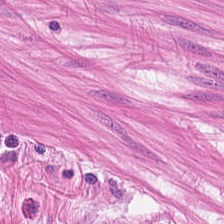H&E; FFPE tissue section — Finding → smooth-muscle tissue.
